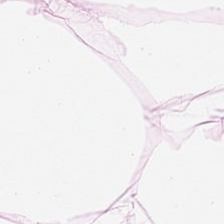Hematoxylin and eosin · FFPE tissue section — Fat tissue.
